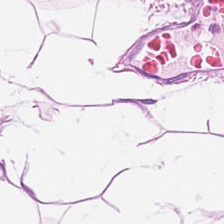Stain: H&E.
Tissue type: adipocytes.
